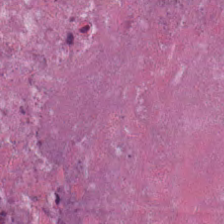Brightfield · hematoxylin and eosin.
Q: What is shown in this field?
A: Necrotic debris.
